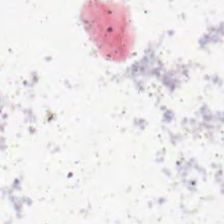Brightfield · 20× equivalent magnification · hematoxylin and eosin — Impression → background.
